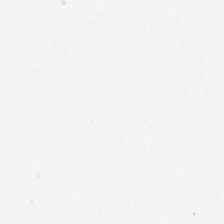Hematoxylin-and-eosin stained section — No tissue present; background only.
